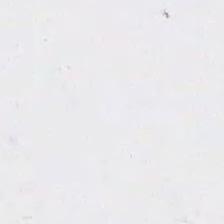This field is background (no tissue).
